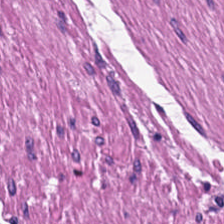Hematoxylin-and-eosin stained section — Tissue type = muscularis.
